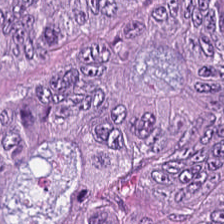Hematoxylin-and-eosin stained section. Whole-slide-image patch. Formalin-fixed paraffin-embedded section.
Impression → tumor epithelium.
